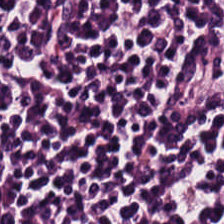Hematoxylin and eosin; brightfield microscopy.
Tissue class: lymphocytic infiltrate.
